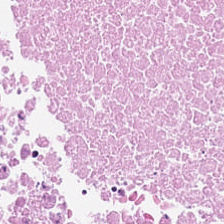H&E — Tissue type — debris.
